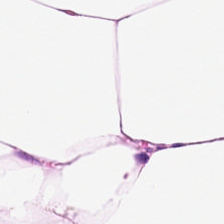Hematoxylin-and-eosin stained section; brightfield microscopy — The predominant tissue is adipocytes.
